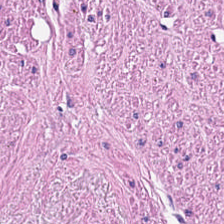The tissue here is muscularis.
